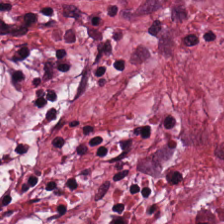The predominant tissue is tumor stroma.
